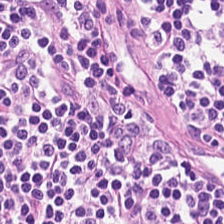FFPE tissue section · H&E stain.
Finding → lymphocytic infiltrate.
